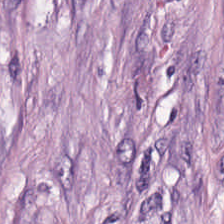Hematoxylin and eosin. Whole-slide-image patch.
Tumor-associated stroma.
